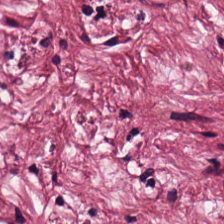Hematoxylin-and-eosin section: tumor stroma.
